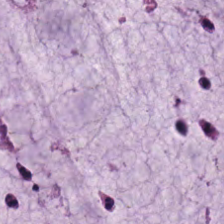H&E-stained tissue section; whole-slide-image patch; 0.5 µm/px — Q: What is shown in this field?
A: It is mucus.
